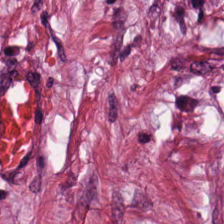The predominant tissue is cancer-associated stroma.
